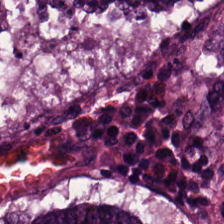The tissue here is colorectal adenocarcinoma epithelium.
